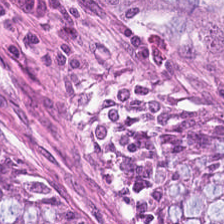The predominant tissue is normal colonic mucosa.
